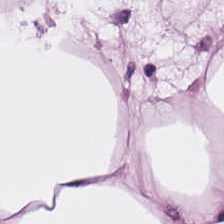H&E. 224×224 px patch.
Finding → fat tissue.
